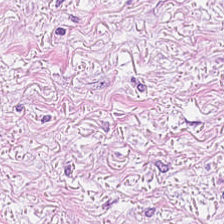Hematoxylin and eosin · brightfield — Classification = tumor stroma.
